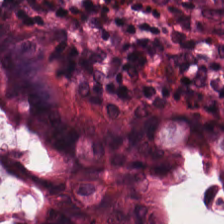The tissue class is benign colonic mucosa.
